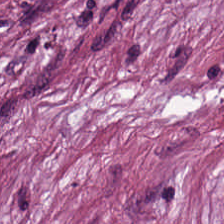Hematoxylin and eosin · FFPE. This field is tumor stroma.
